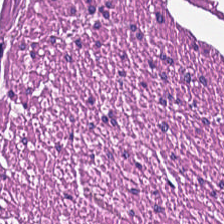Hematoxylin and eosin. 224×224 px tile — Tissue = muscularis.
